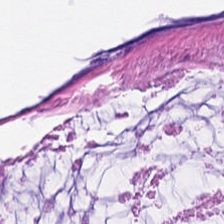Stain: H&E.
Tissue class: mucin.
